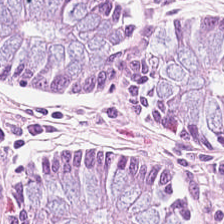H&E — Tissue type = normal colon mucosa.
